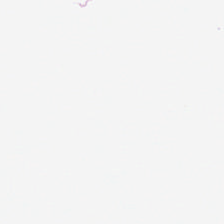Q: What is shown here?
A: The field shows no tissue.
